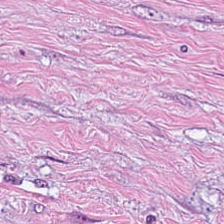H&E — tumor stroma.
